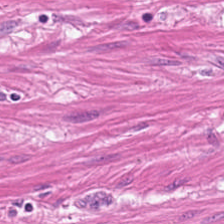FFPE tissue section; H&E. Tissue type — smooth-muscle tissue.
